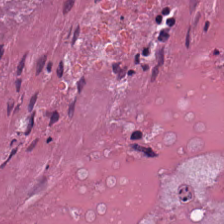Hematoxylin and eosin. The tissue here is necrotic debris.
